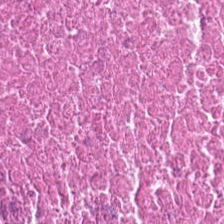Stain: H&E.
Acquisition: brightfield.
Preparation: FFPE tissue section.
Classification: necrotic debris.
